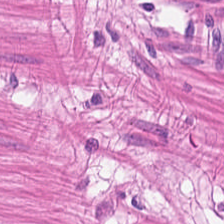Stain: H&E stain.
Tissue class: smooth muscle.
